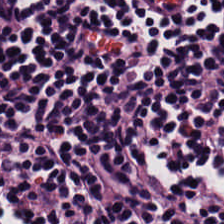Formalin-fixed paraffin-embedded section. Hematoxylin-and-eosin stained section. Whole-slide-image patch. Lymphocytic infiltrate.
